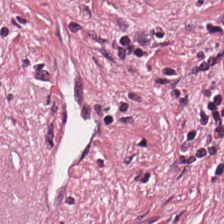The tissue type is tumor-associated stroma.
